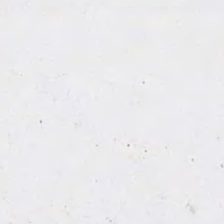H&E stain · FFPE tissue section · 224×224 px patch.
Histology — background (no tissue).
